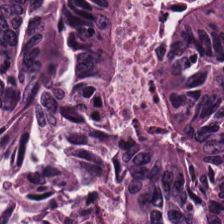H&E. Brightfield microscopy. 0.5 microns per pixel. Predominant tissue = adenocarcinoma.
